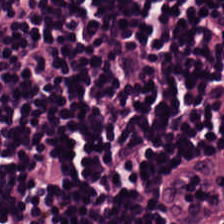H&E stain. The predominant tissue is lymphoid infiltrate.
